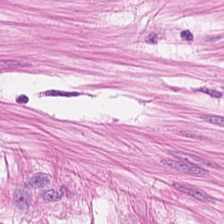Hematoxylin and eosin. FFPE tissue section — Q: What is the predominant tissue type?
A: It is smooth-muscle tissue.
